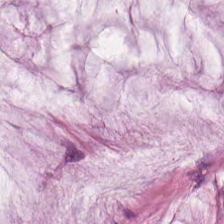H&E-stained tissue section. The tissue here is extracellular mucin.
